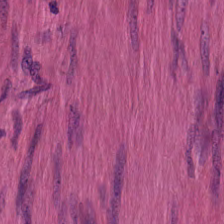Hematoxylin-and-eosin stained section.
Histology → smooth-muscle tissue.
